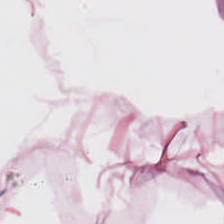224×224 px tile; hematoxylin-and-eosin stained section. Impression — adipocytes.
